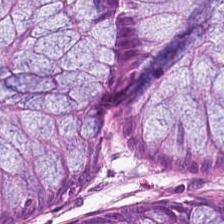Hematoxylin and eosin.
Finding → normal colon mucosa.
